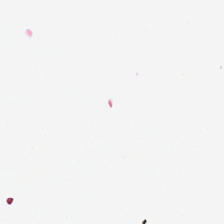Q: What is shown in this field?
A: This is no tissue.
